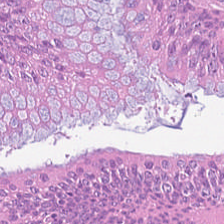H&E — This field is tumor epithelium.
